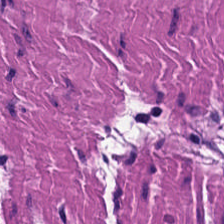FFPE tissue section. H&E. 0.5 microns per pixel.
Q: What type of tissue is this?
A: It is smooth muscle.
